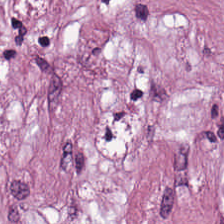H&E. FFPE.
Tissue class = tumor-associated stroma.
